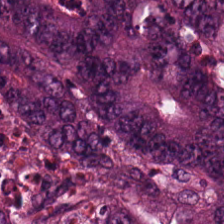Hematoxylin-and-eosin section: adenocarcinoma.
